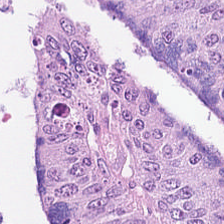0.5 µm/px; brightfield; H&E stain — Q: What does this patch show?
A: This is colorectal adenocarcinoma.
